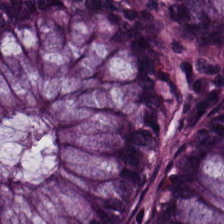FFPE tissue section; H&E stain. The predominant tissue is benign colonic mucosa.
